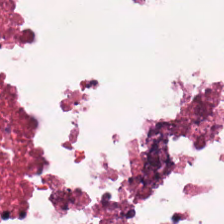Predominantly necrotic debris.
